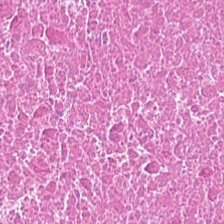{"tissue_type": "debris"}
